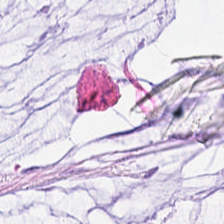224×224 px tile · H&E. Q: What is shown here?
A: The field shows mucin.
